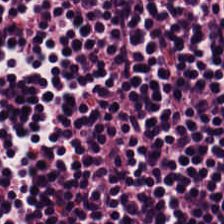Hematoxylin-and-eosin stained section.
This field is lymphoid infiltrate.
